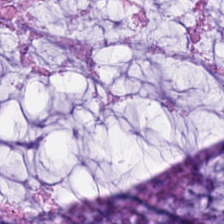Formalin-fixed paraffin-embedded section · 0.5 microns per pixel · H&E — Q: What tissue is shown?
A: This is extracellular mucin.
